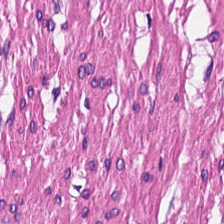Stain: H&E stain.
Classification: smooth-muscle tissue.
